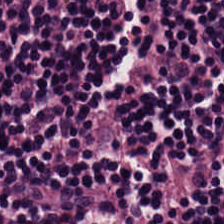0.5 µm per pixel. H&E. Q: Classify this patch.
A: Lymphocyte aggregate.
